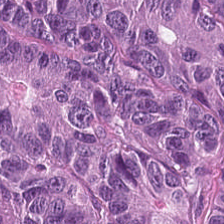Hematoxylin and eosin. 20× equivalent magnification.
Q: Classify this patch.
A: It is tumor epithelium.
